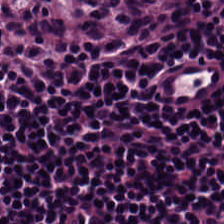Whole-slide-image patch; H&E-stained tissue section — Q: Identify the tissue.
A: Lymphoid infiltrate.
